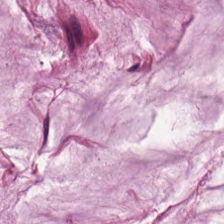Hematoxylin and eosin — Q: Classify this patch.
A: Mucus.
